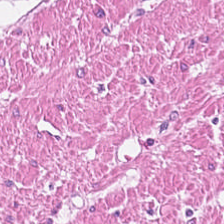H&E — Tissue class: smooth muscle.
